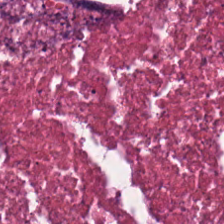H&E stain · 224×224 px patch. Impression → debris.
